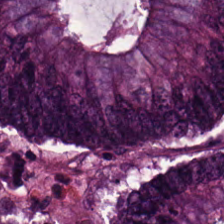H&E. The predominant tissue is malignant epithelium.
